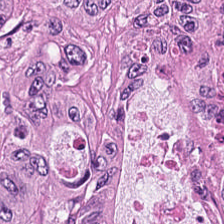H&E stain. This patch shows tumor epithelium.
